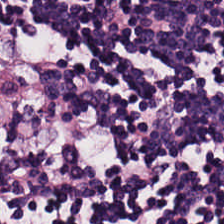H&E stain.
Predominantly lymphocyte aggregate.
